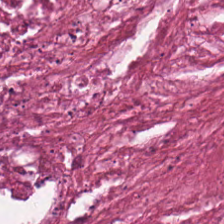H&E-stained tissue section showing necrotic debris.
